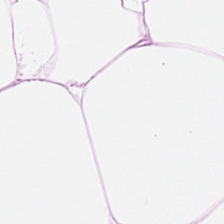H&E-stained tissue section — Showing adipose.
